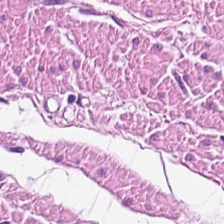H&E.
Q: Identify the tissue.
A: The field shows smooth muscle.
